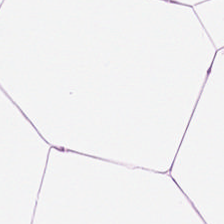Hematoxylin and eosin.
Tissue = adipose tissue.
